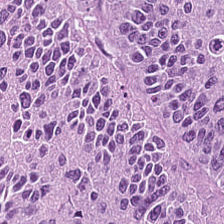H&E stain; 0.5 microns per pixel. The predominant tissue is adenocarcinoma.
